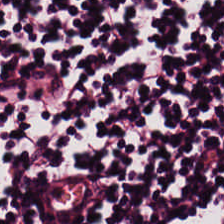This field is lymphoid infiltrate.
